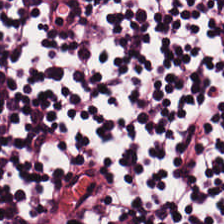H&E. 224×224 px tile. 0.5 µm per pixel — Lymphocyte aggregate.
